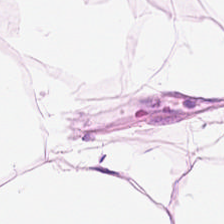H&E stain. 224×224 px tile. Q: What is shown here?
A: This is adipose tissue.
